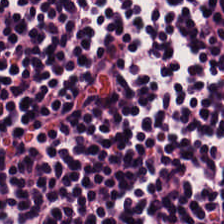H&E stain.
The predominant tissue is lymphocytic infiltrate.
